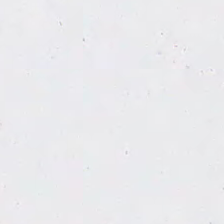No tissue present; background only.
